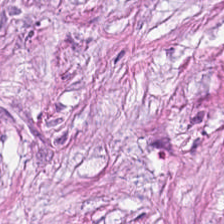H&E-stained tissue section — Tissue class: desmoplastic stroma.
